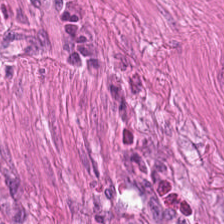Hematoxylin-and-eosin stained section; 20× equivalent magnification — Q: Classify this patch.
A: Muscularis.
